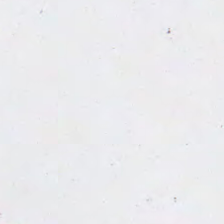Formalin-fixed paraffin-embedded section · brightfield · H&E stain.
No tissue.
